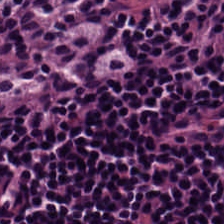Hematoxylin and eosin — Classification = lymphocytic infiltrate.
